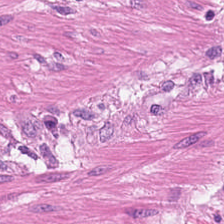Hematoxylin-and-eosin stained section · whole-slide-image patch.
Tissue type = smooth-muscle tissue.
